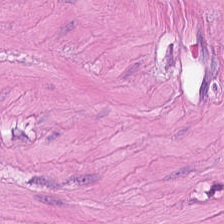Whole-slide-image patch · formalin-fixed paraffin-embedded section · H&E-stained tissue section. The predominant tissue is smooth muscle.
